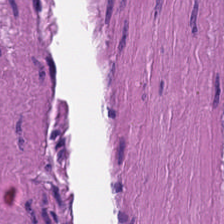H&E-stained tissue section — Q: Classify this patch.
A: This is muscularis.
